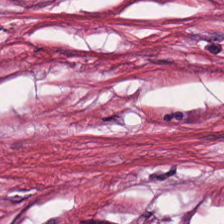Q: What type of tissue is this?
A: Cancer-associated stroma.
